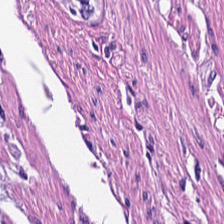H&E-stained tissue section showing smooth muscle.
